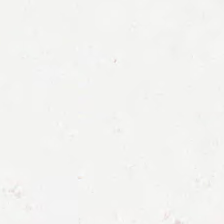224×224 px patch; H&E stain.
Empty background.
